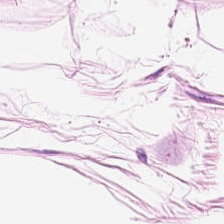Q: What is the predominant tissue type?
A: It is adipocytes.
